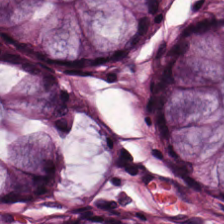H&E stain. Tissue = normal colon mucosa.
